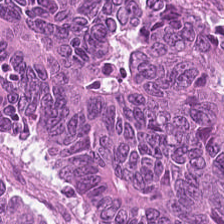Impression → colorectal adenocarcinoma epithelium.
